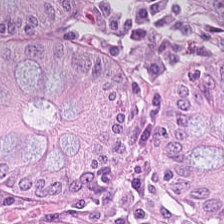Hematoxylin and eosin · formalin-fixed paraffin-embedded section — Predominantly normal colon mucosa.
